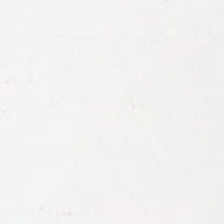Formalin-fixed paraffin-embedded section; 0.5 microns per pixel; H&E — Q: What is shown in this field?
A: This is no tissue.
